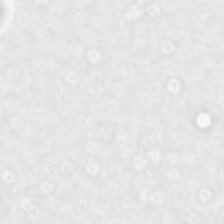Hematoxylin and eosin · 224×224 pixel tile · 0.5 microns per pixel. Q: What is shown here?
A: Background.
